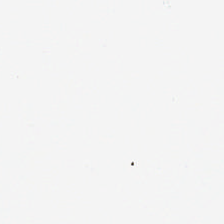Hematoxylin-and-eosin stained section. Q: What does this patch show?
A: It is empty background.
